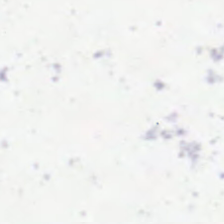The content is no tissue.
